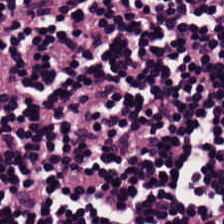Stain: H&E.
Tissue class: lymphoid infiltrate.
